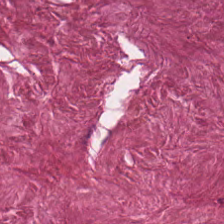Hematoxylin-and-eosin stained section — This patch shows tumor-associated stroma.
